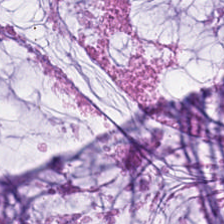Hematoxylin-and-eosin stained section; FFPE tissue section. Tissue type — mucin.
